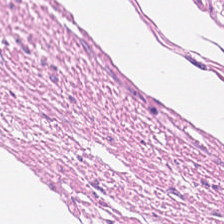H&E.
Predominantly smooth muscle.
